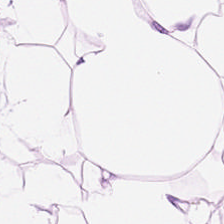Hematoxylin-and-eosin section: fat tissue.
